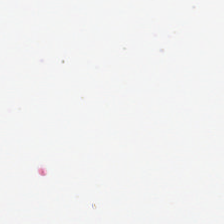FFPE; H&E.
Q: Classify this patch.
A: The field shows empty background.
